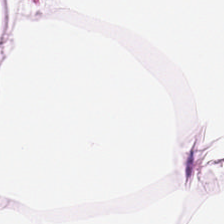Classification: adipose.
